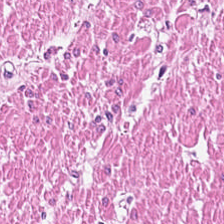20× equivalent magnification. H&E stain.
Impression — muscularis.
